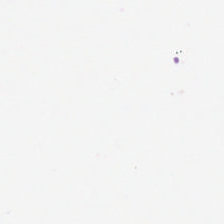Stain: hematoxylin and eosin.
Preparation: FFPE tissue section.
Classification: empty background.
